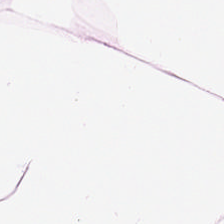H&E stain. Brightfield microscopy. 0.5 µm per pixel — This patch shows adipocytes.
